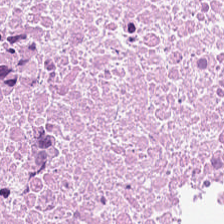H&E.
{"tissue_type": "debris"}
